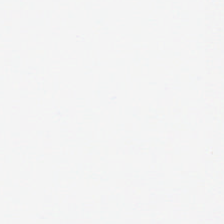Impression → background.
